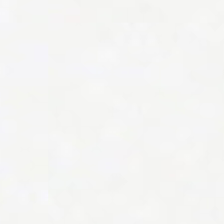H&E stain. 224×224 px patch. 20× equivalent magnification. Classification = no tissue.
